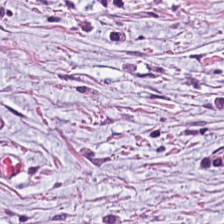0.5 µm/px; H&E; 224×224 px tile. Predominantly tumor stroma.
